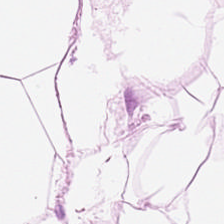H&E; whole-slide-image patch.
Adipose tissue.
